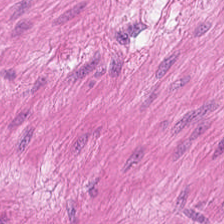Stain: hematoxylin and eosin.
Tissue class: smooth muscle.
